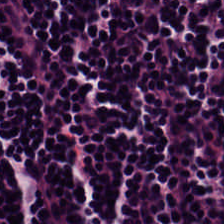Hematoxylin-and-eosin stained section. Q: Classify this patch.
A: This is lymphocyte aggregate.
